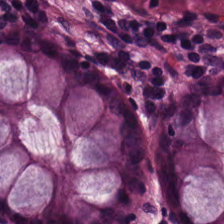The predominant tissue is non-neoplastic colon mucosa.
